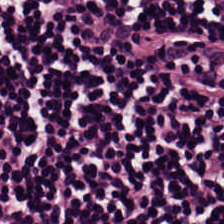H&E. Impression — lymphocytic infiltrate.
